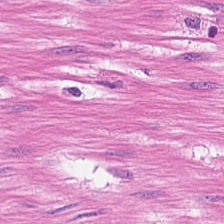20× equivalent magnification · 224×224 px patch · H&E stain. This field is smooth-muscle tissue.
